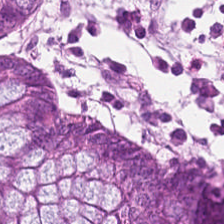Histology → non-neoplastic colon mucosa.
